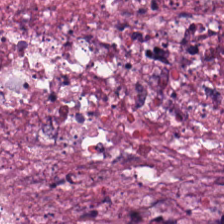Hematoxylin and eosin — The tissue here is necrotic debris.
